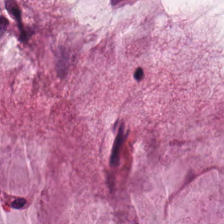Hematoxylin and eosin. FFPE tissue section. Classification — extracellular mucin.
